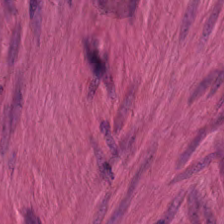The tissue type is smooth-muscle tissue.
